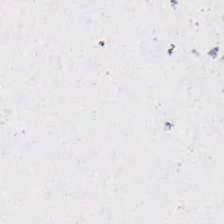Formalin-fixed paraffin-embedded section. Hematoxylin and eosin.
This field is background (no tissue).
